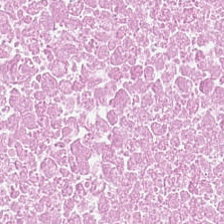Predominantly cellular debris.
